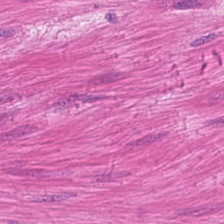Predominant tissue: smooth-muscle tissue.
